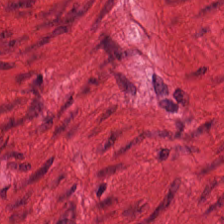0.5 µm/px. Hematoxylin-and-eosin stained section. FFPE. Showing muscularis.
